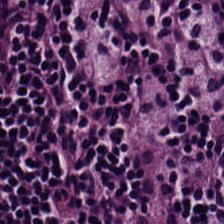H&E-stained tissue section.
The predominant tissue is lymphocytes.
